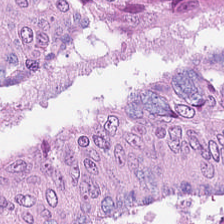H&E — colorectal adenocarcinoma epithelium.
